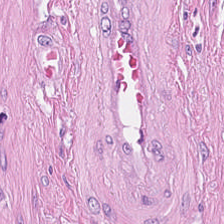H&E stain — The tissue is desmoplastic stroma.
